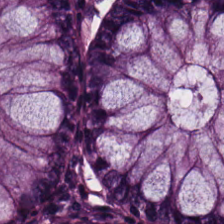H&E stain — Normal colonic mucosa.
